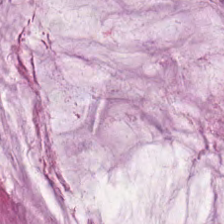H&E-stained tissue section — {"tissue_type": "extracellular mucin"}
